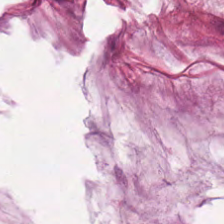Stain: H&E stain.
Preparation: FFPE tissue section.
Predominant tissue: extracellular mucin.
